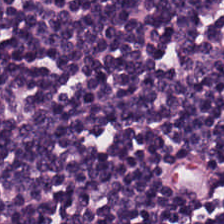Hematoxylin-and-eosin stained section; 224×224 pixel tile.
Tissue class = lymphocytic infiltrate.
